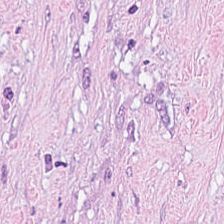H&E stain. Formalin-fixed paraffin-embedded section — {"tissue_type": "tumor stroma"}
